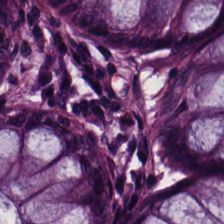Hematoxylin-and-eosin section: non-neoplastic colon mucosa.
